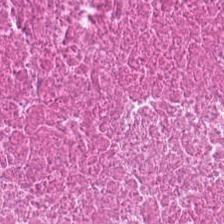H&E; 0.5 microns per pixel; formalin-fixed paraffin-embedded section.
Tissue — cellular debris.
